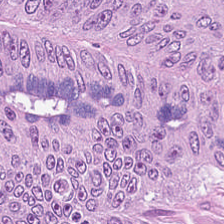H&E.
This patch shows colorectal adenocarcinoma.
